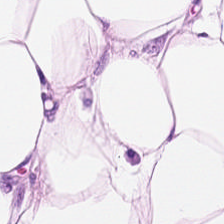H&E stain. 224×224 px patch. Classification — fat tissue.
